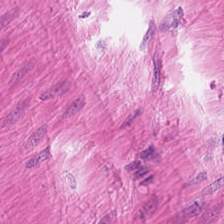224×224 px tile. H&E.
The tissue is muscularis.
